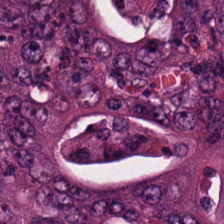FFPE tissue section. H&E stain.
The tissue here is adenocarcinoma.
